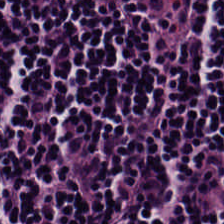0.5 microns per pixel; H&E-stained tissue section — Histology → lymphocyte aggregate.
